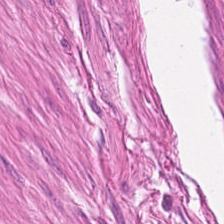H&E patch showing smooth muscle.
